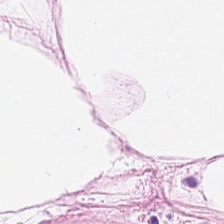Showing fat tissue.
